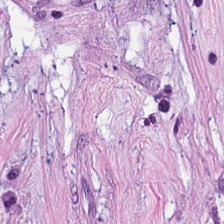224×224 px tile. Hematoxylin and eosin. The tissue is desmoplastic stroma.
